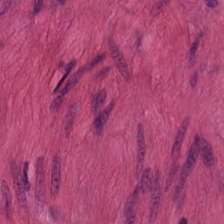Q: Classify this patch.
A: This is muscularis.
